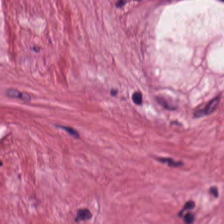Histology → desmoplastic stroma.
